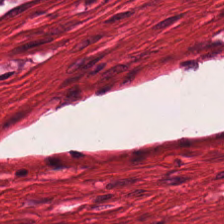Hematoxylin-and-eosin stained section · 224×224 px tile. Smooth muscle.
